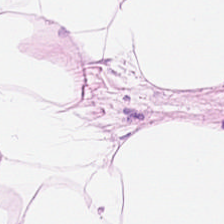Hematoxylin and eosin · 20× equivalent magnification. Predominant tissue — adipose.
